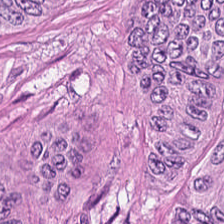Stain: H&E.
Resolution: 0.5 µm/px.
Tile size: 224×224 pixel tile.
Tissue: adenocarcinoma.
